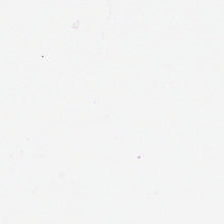Q: What is shown in this field?
A: Background (no tissue).
